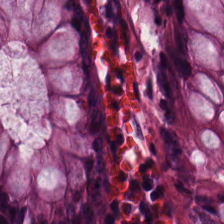Hematoxylin-and-eosin stained section.
Showing non-neoplastic colon mucosa.
